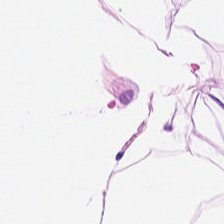H&E — This field is fat tissue.
